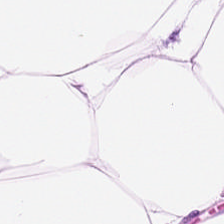224×224 pixel tile · brightfield · hematoxylin-and-eosin stained section.
Q: What is shown in this field?
A: Adipose.
